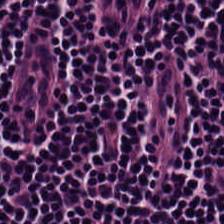Hematoxylin-and-eosin stained section — Tissue class: lymphocytes.
